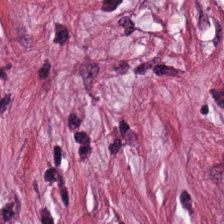Hematoxylin and eosin. Predominantly desmoplastic stroma.
